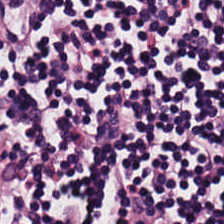H&E stain; FFPE tissue section — The tissue class is lymphocytes.
